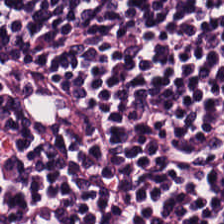Formalin-fixed paraffin-embedded section; 224×224 px tile; hematoxylin and eosin.
Q: What is shown here?
A: Lymphocytes.
